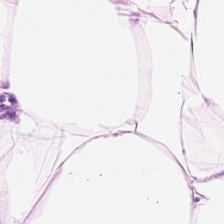Hematoxylin-and-eosin stained section; 0.5 microns per pixel. Fat tissue.
